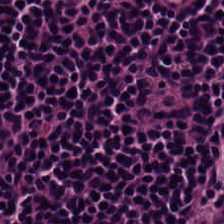Brightfield. H&E. 0.5 µm per pixel — Q: What tissue type is shown here?
A: Lymphocytic infiltrate.
